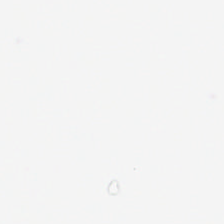Formalin-fixed paraffin-embedded section. 224×224 px tile. H&E stain — Empty field — background.
